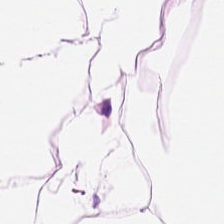Predominant tissue = adipose.
